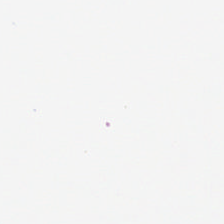H&E stain — Q: What is shown in this field?
A: This is no tissue.
